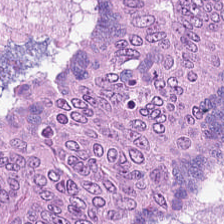224×224 px patch · H&E — Q: What tissue is shown?
A: Tumor epithelium.
